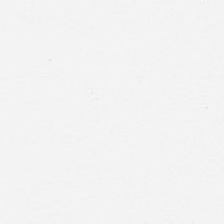This field is background (no tissue).
